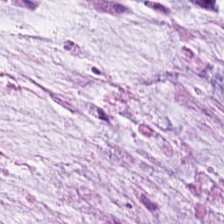FFPE tissue section; hematoxylin-and-eosin stained section.
Impression — mucus.
